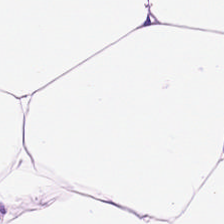H&E stain — {"tissue_type": "adipocytes"}
